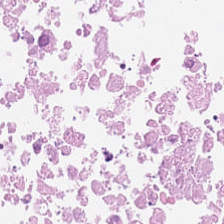H&E stain. Tissue type: necrotic debris.
